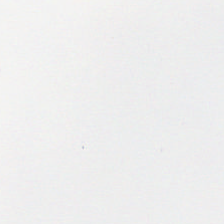Stain: hematoxylin and eosin.
Field content: background.
